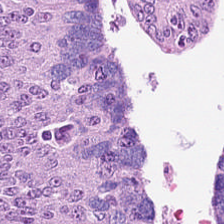H&E. 224×224 px patch — The tissue class is colorectal adenocarcinoma.
